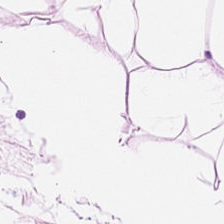Hematoxylin and eosin — Impression — adipocytes.
